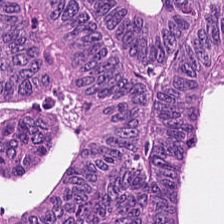Stain: H&E.
Tissue class: colorectal adenocarcinoma.
